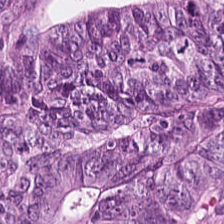FFPE tissue section; H&E stain. Tissue class — colorectal adenocarcinoma.
